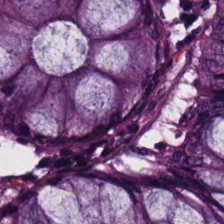Brightfield · hematoxylin-and-eosin stained section — Tissue type: benign colonic mucosa.
